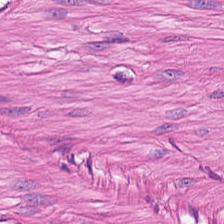Hematoxylin-and-eosin stained section — Q: What type of tissue is this?
A: This is muscularis.
